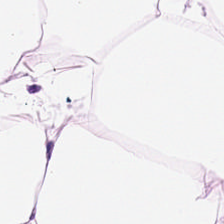Hematoxylin-and-eosin stained section; FFPE tissue section.
The predominant tissue is adipocytes.
